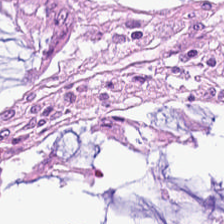0.5 µm/px; hematoxylin-and-eosin stained section; brightfield microscopy.
Normal colonic mucosa.
